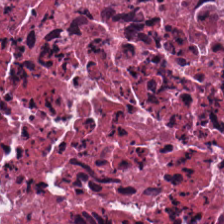Whole-slide-image patch; H&E — {"tissue_type": "necrotic debris"}
